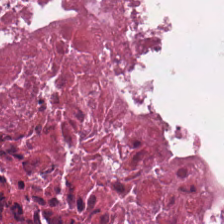Showing cellular debris.
